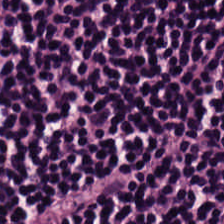{"tissue_type": "lymphocytes"}
